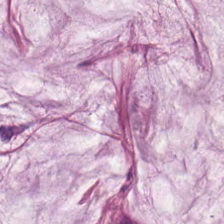Hematoxylin and eosin · 224×224 px patch. Mucin.
